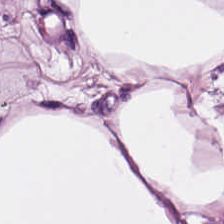224×224 px patch · H&E stain.
Tissue — adipose tissue.
